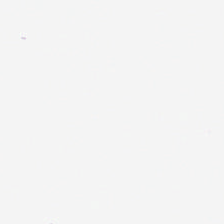Field content = background (no tissue).
